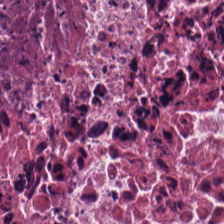Stain: H&E-stained tissue section.
Classification: debris.
